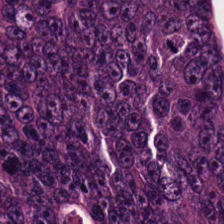Hematoxylin-and-eosin stained section · brightfield microscopy — Tissue type — colorectal adenocarcinoma epithelium.
